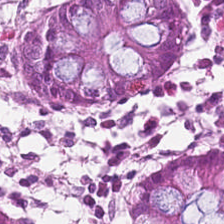H&E · 224×224 px tile.
Impression → normal colonic mucosa.
